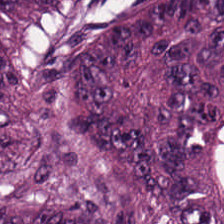H&E.
The tissue is malignant epithelium.
